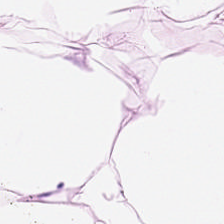Adipose.
